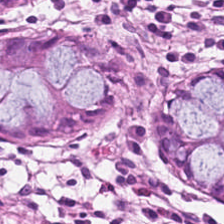Hematoxylin-and-eosin stained section; brightfield.
Impression — normal colonic mucosa.
